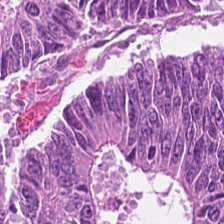224×224 px patch · brightfield microscopy · hematoxylin-and-eosin stained section.
Showing colorectal adenocarcinoma epithelium.
